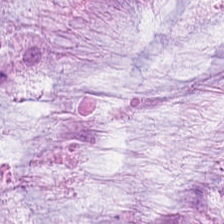H&E — The tissue here is mucus.
